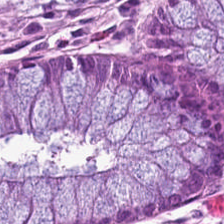H&E; FFPE tissue section; whole-slide-image patch.
Classification = normal colonic mucosa.
